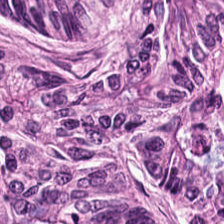H&E-stained tissue section.
Histology → adenocarcinoma.
